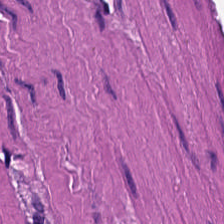Stain: H&E.
Predominant tissue: muscularis.
